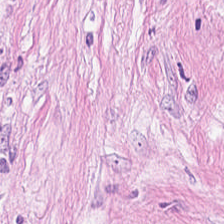{"tissue_type": "desmoplastic stroma"}
